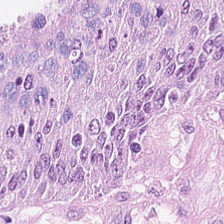H&E.
Histology — malignant epithelium.
